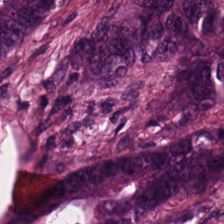H&E stain. 224×224 px tile.
Showing colorectal adenocarcinoma epithelium.
